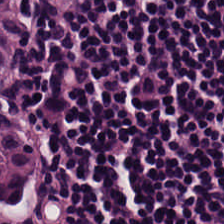Stain: H&E-stained tissue section.
Tissue: lymphocytes.
